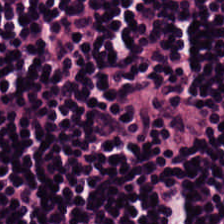Hematoxylin-and-eosin stained section · 224×224 pixel tile — Predominantly lymphocyte aggregate.
